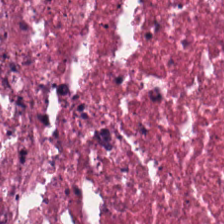20× equivalent magnification. H&E-stained tissue section.
Impression → necrotic debris.
